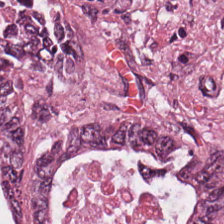Impression → adenocarcinoma.
